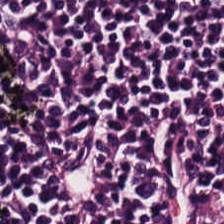FFPE tissue section; hematoxylin-and-eosin stained section — Lymphoid infiltrate.
